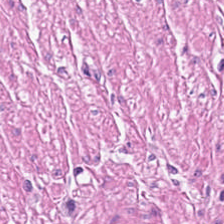Hematoxylin-and-eosin stained section; 0.5 microns per pixel; FFPE. Impression — muscularis.
